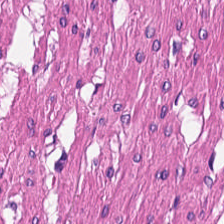Stain: hematoxylin-and-eosin stained section.
Tissue class: smooth-muscle tissue.
